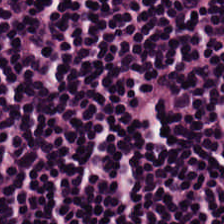Brightfield · H&E stain — Q: What does this patch show?
A: This is lymphocytes.
